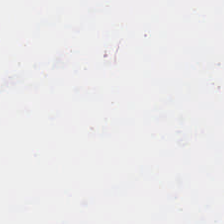H&E — Impression — background.
